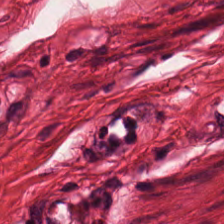Hematoxylin and eosin · 0.5 µm/px — Muscularis.
